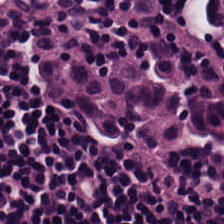The classification is lymphocytes.
